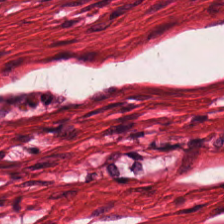Tissue — muscularis.
